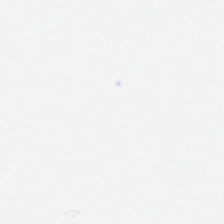Hematoxylin and eosin; FFPE.
Q: What does this patch show?
A: This is background.
